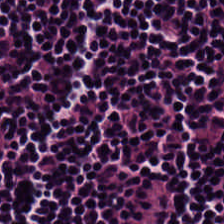H&E-stained tissue section. 20× equivalent magnification.
This field is lymphoid infiltrate.
